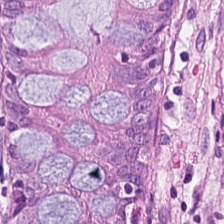Tissue type: normal colon mucosa.
